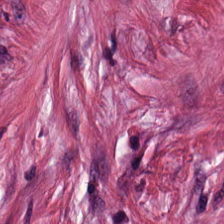H&E — desmoplastic stroma.
